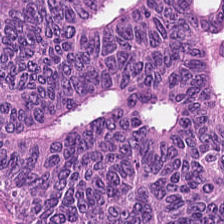Brightfield; H&E; formalin-fixed paraffin-embedded section.
Tissue class: malignant epithelium.
